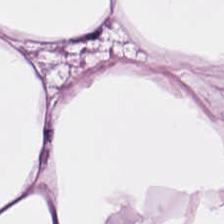Hematoxylin-and-eosin stained section.
Finding — adipose.
